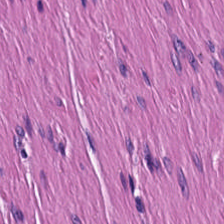H&E patch showing smooth muscle.
